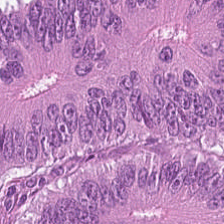Showing colorectal adenocarcinoma.
